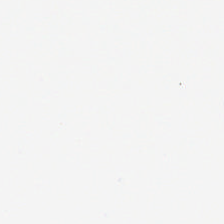0.5 microns per pixel · hematoxylin-and-eosin stained section · FFPE — {"content": "no tissue"}
